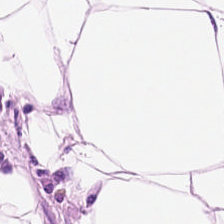Hematoxylin-and-eosin stained section. 224×224 px tile. WSI patch.
This patch shows adipose.
